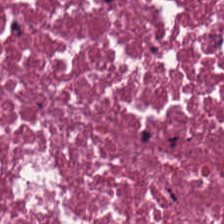Predominant tissue = necrotic debris.
